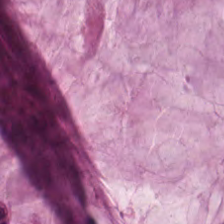224×224 px patch · H&E-stained tissue section · brightfield microscopy. The tissue here is mucus.
